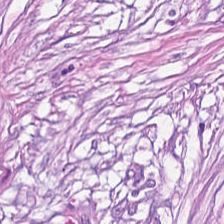Showing desmoplastic stroma.
